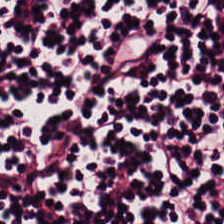Finding → lymphoid infiltrate.
